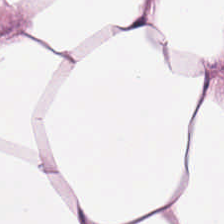H&E — Q: Classify this patch.
A: This is adipose tissue.
